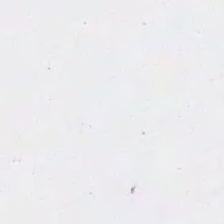224×224 px patch; H&E — This field is background (no tissue).
